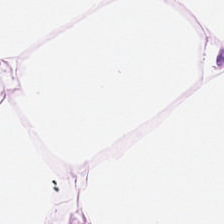Stain: H&E-stained tissue section.
Tissue: adipose tissue.
